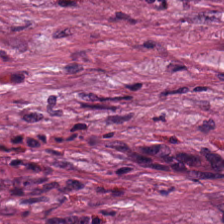224×224 px tile; H&E stain.
Tissue class — desmoplastic stroma.
